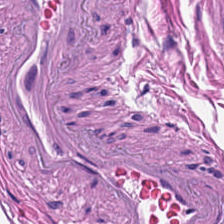H&E-stained tissue section — Q: What type of tissue is this?
A: This is smooth-muscle tissue.
